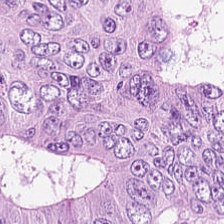H&E patch showing colorectal adenocarcinoma.
